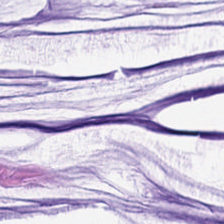H&E-stained tissue section.
Q: What tissue is shown?
A: This is extracellular mucin.
